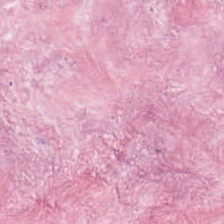H&E stain — Classification: cancer-associated stroma.
